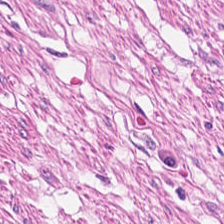H&E.
Tissue class — smooth muscle.
